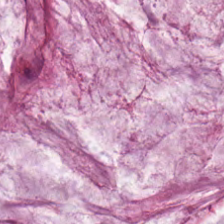H&E stain. Q: Classify this patch.
A: This is mucus.
